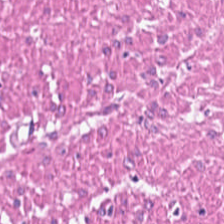Q: What does this patch show?
A: It is smooth-muscle tissue.
